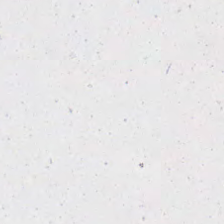H&E stain · FFPE · 224×224 px patch — Background — no tissue in this field.
